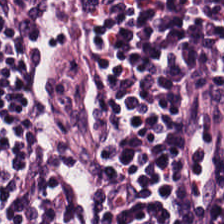Hematoxylin and eosin — The tissue here is lymphocytic infiltrate.
